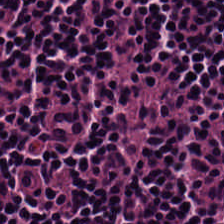H&E. Q: What is shown here?
A: It is lymphocyte aggregate.
